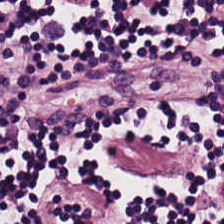Stain: H&E.
Predominant tissue: lymphocyte aggregate.
